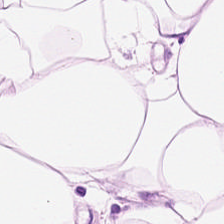Hematoxylin and eosin · 224×224 px patch.
Tissue = adipocytes.
